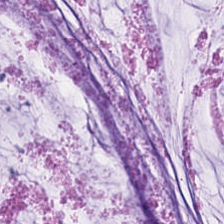H&E. Predominantly extracellular mucin.
